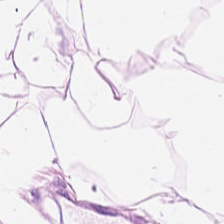Hematoxylin and eosin. Predominantly adipocytes.
